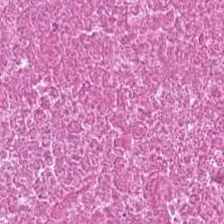H&E stain.
Q: What is shown here?
A: Debris.
